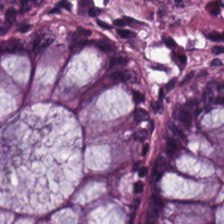H&E-stained tissue section.
Q: What is shown in this field?
A: The field shows normal colon mucosa.
